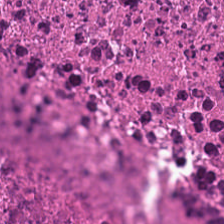The tissue here is cellular debris.
